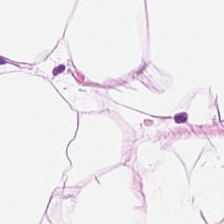Hematoxylin and eosin — Fat tissue.
